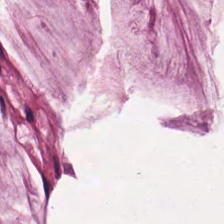H&E-stained tissue section. Q: What does this patch show?
A: It is mucus.
